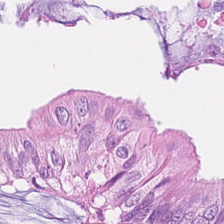H&E.
The tissue type is colorectal adenocarcinoma epithelium.
